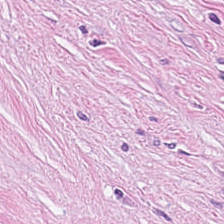{"tissue_type": "cancer-associated stroma"}
